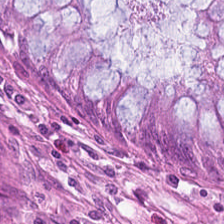H&E-stained tissue section showing normal colonic mucosa.
